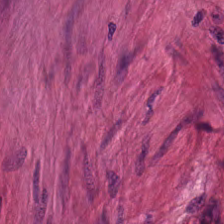This field is smooth muscle.
